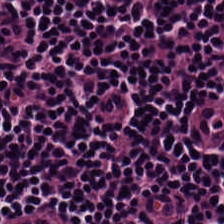Hematoxylin-and-eosin stained section — {"tissue_type": "lymphocyte aggregate"}
